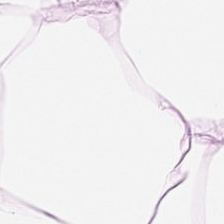Stain: H&E stain.
Tissue type: fat tissue.
